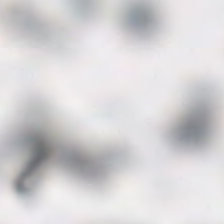Hematoxylin-and-eosin stained section — This field is background (no tissue).
